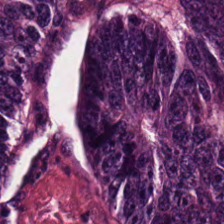FFPE. Hematoxylin-and-eosin stained section. Q: What tissue is shown?
A: Adenocarcinoma.
